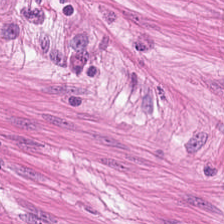H&E stain.
Classification — smooth muscle.
